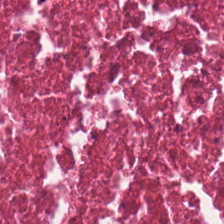Hematoxylin-and-eosin stained section — This field is cellular debris.
